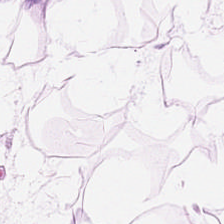H&E-stained tissue section — Tissue class — adipose tissue.
